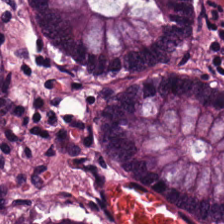Q: Identify the tissue.
A: The field shows non-neoplastic colon mucosa.
